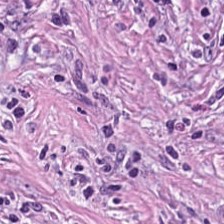Hematoxylin-and-eosin stained section. 0.5 µm per pixel. This field is desmoplastic stroma.
